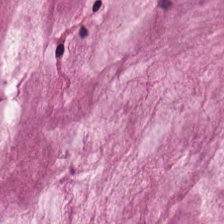H&E-stained tissue section — Showing extracellular mucin.
